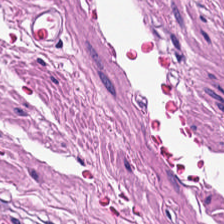H&E-stained tissue section.
Q: What tissue type is shown here?
A: Smooth muscle.
